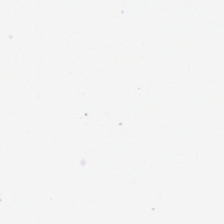FFPE; H&E.
Empty field — background.
